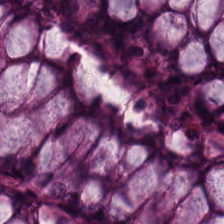Stain: H&E.
Resolution: 0.5 microns per pixel.
Tissue type: benign colonic mucosa.
